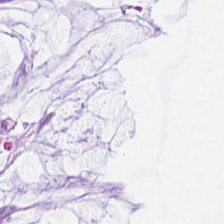H&E-stained tissue section.
Q: What type of tissue is this?
A: Mucin.
